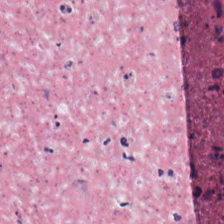H&E-stained tissue section — Q: What tissue type is shown here?
A: It is necrotic debris.
